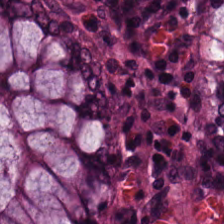H&E-stained tissue section — Predominantly benign colonic mucosa.
